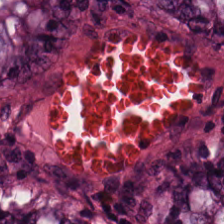H&E-stained tissue section · 0.5 µm/px · 224×224 pixel tile. Q: What is shown here?
A: It is non-neoplastic colon mucosa.
